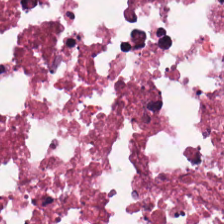Q: Identify the tissue.
A: The field shows necrotic debris.
